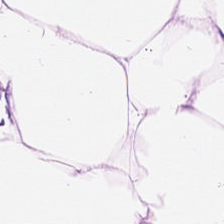0.5 microns per pixel · H&E stain — Classification = adipocytes.
